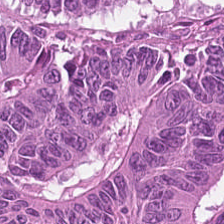20× equivalent magnification. Hematoxylin-and-eosin stained section — Q: What is the predominant tissue type?
A: It is colorectal adenocarcinoma.
